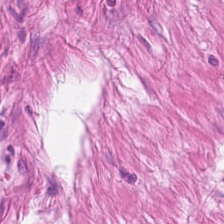224×224 px tile. FFPE. H&E. Impression — muscularis.
